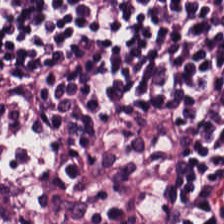Stain: hematoxylin-and-eosin stained section.
Classification: lymphocytic infiltrate.
